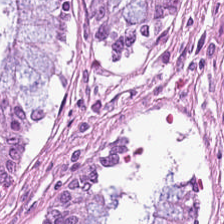Q: What does this patch show?
A: The field shows normal colon mucosa.
